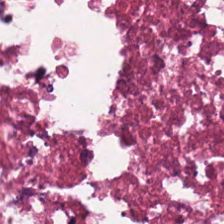Formalin-fixed paraffin-embedded section · H&E · WSI patch.
Tissue = necrotic debris.
